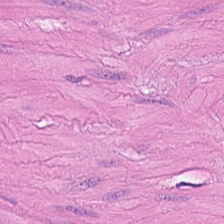Hematoxylin and eosin — Finding → muscularis.
